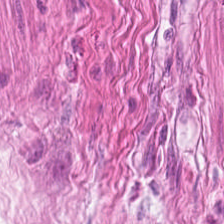Histology — smooth muscle.
